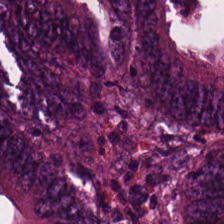Q: Identify the tissue.
A: This is colorectal adenocarcinoma.
